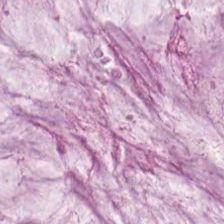H&E stain; brightfield microscopy; 224×224 px tile.
The tissue here is mucin.
